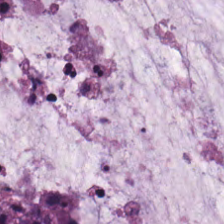Stain: H&E.
Classification: mucus.
